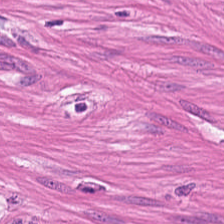H&E stain · 224×224 px tile.
{"tissue_type": "smooth-muscle tissue"}
